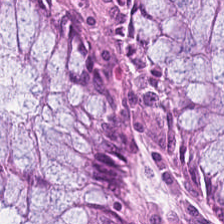Q: What type of tissue is this?
A: The field shows normal colon mucosa.
